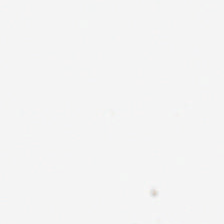Hematoxylin and eosin.
Field content = background (no tissue).
